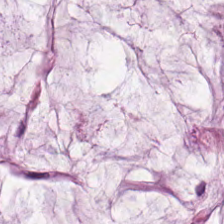Hematoxylin and eosin; WSI patch — Q: What is the predominant tissue type?
A: It is extracellular mucin.
